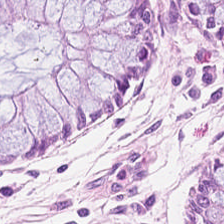H&E stain — Impression — normal colon mucosa.
